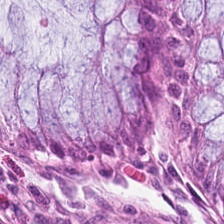H&E-stained tissue section — Showing benign colonic mucosa.
